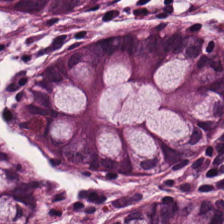Tissue type — non-neoplastic colon mucosa.
